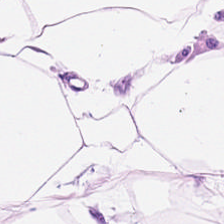Hematoxylin and eosin.
The tissue type is fat tissue.
